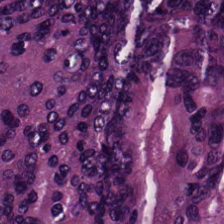H&E — The tissue is colorectal adenocarcinoma.
